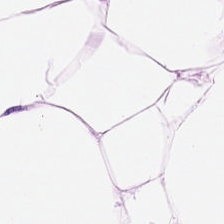Predominantly fat tissue.
